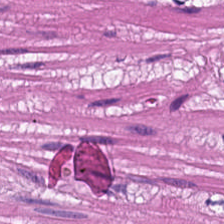Stain: H&E.
Tile size: 224×224 pixel tile.
Tissue type: muscularis.
